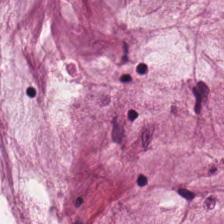Hematoxylin-and-eosin stained section.
Q: What type of tissue is this?
A: The field shows extracellular mucin.
